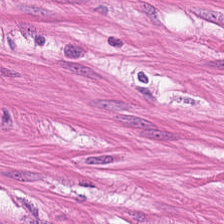Hematoxylin-and-eosin stained section; 0.5 microns per pixel.
Predominantly smooth muscle.
